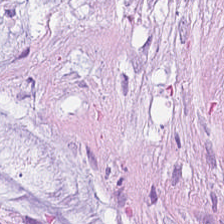Impression → extracellular mucin.
